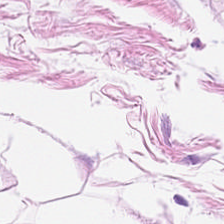H&E-stained tissue section. Finding → adipocytes.
